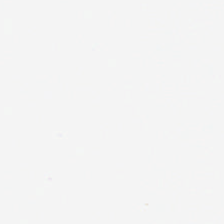0.5 microns per pixel. H&E.
Classification = background.
